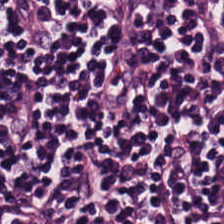Q: What type of tissue is this?
A: This is lymphoid infiltrate.
